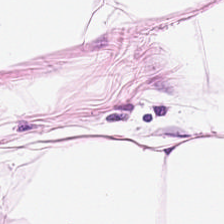Hematoxylin-and-eosin stained section.
Adipocytes.
